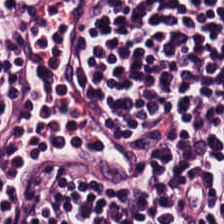H&E — Predominantly lymphocytic infiltrate.
